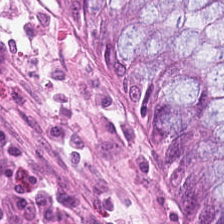Stain: H&E stain.
Preparation: formalin-fixed paraffin-embedded section.
Tissue: benign colonic mucosa.
